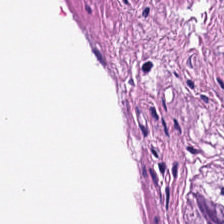224×224 px tile. H&E-stained tissue section. 0.5 µm/px.
Smooth muscle.
